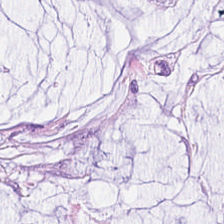Hematoxylin-and-eosin stained section — {"tissue_type": "extracellular mucin"}
